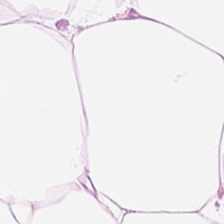Brightfield microscopy · 224×224 px patch · hematoxylin and eosin. This patch shows adipocytes.
